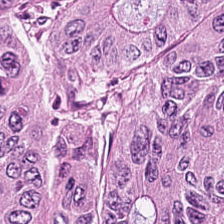Stain: hematoxylin and eosin.
Classification: colorectal adenocarcinoma.
